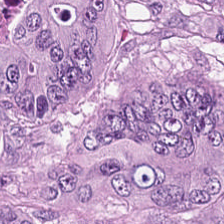Predominantly colorectal adenocarcinoma.
